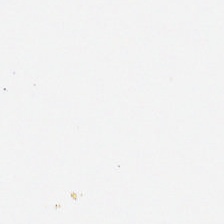The field content is background (no tissue).
